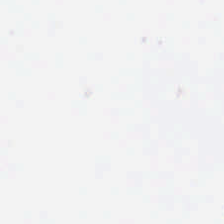H&E-stained tissue section.
Q: What does this patch show?
A: No tissue.
